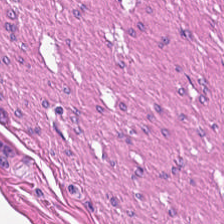Hematoxylin-and-eosin stained section — Tissue: smooth-muscle tissue.
